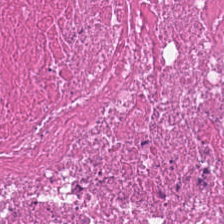Stain: H&E.
Tissue class: debris.
